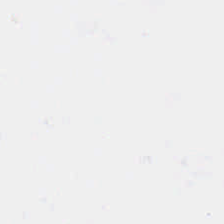Stain: hematoxylin-and-eosin stained section.
Classification: empty background.
